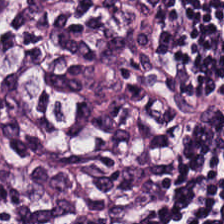Stain: H&E.
Tissue class: lymphocyte aggregate.
